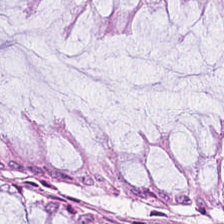FFPE; 224×224 px patch; hematoxylin-and-eosin stained section — Normal colonic mucosa.
